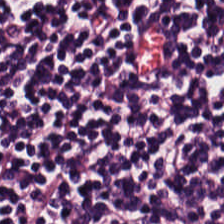Hematoxylin and eosin — Predominant tissue — lymphocytic infiltrate.
